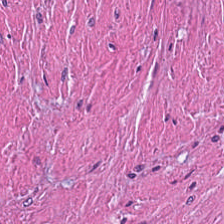Hematoxylin-and-eosin stained section. FFPE tissue section. Q: Identify the tissue.
A: Cellular debris.
